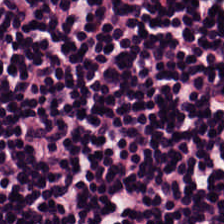Stain: hematoxylin-and-eosin stained section.
Tissue type: lymphoid infiltrate.
